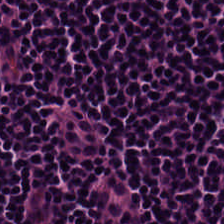Hematoxylin and eosin.
Lymphoid infiltrate.
